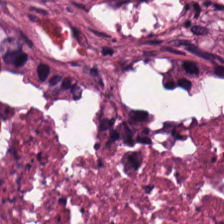Hematoxylin and eosin · 0.5 µm per pixel — This patch shows debris.
